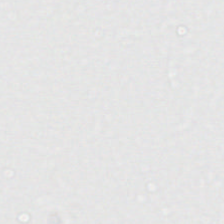Hematoxylin-and-eosin stained section; whole-slide-image patch.
Histology — background (no tissue).
